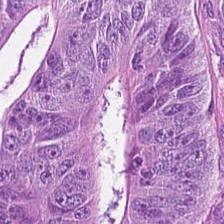H&E-stained tissue section. Impression — adenocarcinoma.
